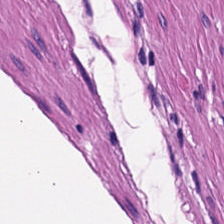Hematoxylin-and-eosin stained section — Predominantly smooth muscle.
